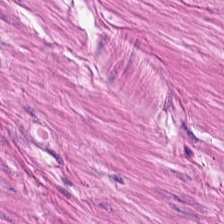Tissue type = muscularis.
